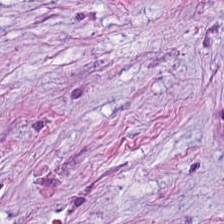H&E stain · 224×224 pixel tile · brightfield microscopy.
The predominant tissue is cancer-associated stroma.
